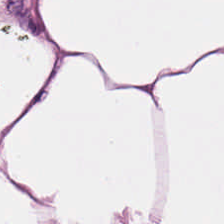H&E stain.
This patch shows fat tissue.
